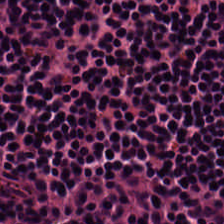Hematoxylin and eosin — Finding — lymphocytes.
